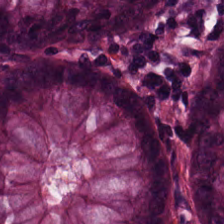H&E — {"tissue_type": "benign colonic mucosa"}
